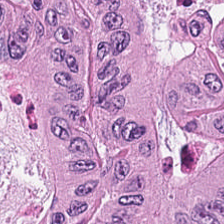224×224 px patch · hematoxylin-and-eosin stained section. Finding — tumor epithelium.
